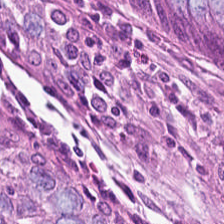Hematoxylin and eosin; formalin-fixed paraffin-embedded section.
Tissue class — normal colon mucosa.
